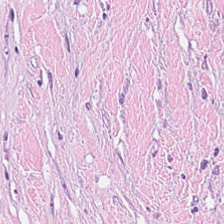H&E · 224×224 px patch. This patch shows desmoplastic stroma.
